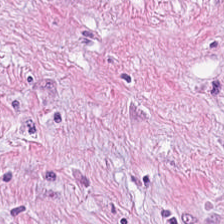224×224 pixel tile; hematoxylin-and-eosin stained section.
Histology → cancer-associated stroma.
